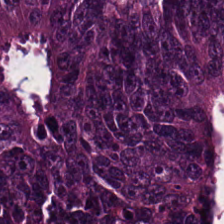H&E · FFPE tissue section.
{"tissue_type": "malignant epithelium"}
